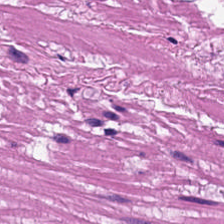H&E. This field is smooth-muscle tissue.
